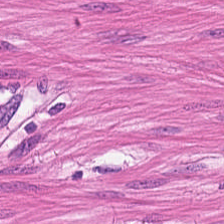224×224 px tile; H&E stain; brightfield — Tissue type: smooth muscle.
